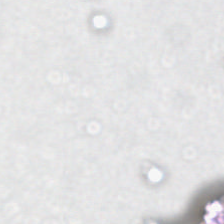H&E; 0.5 microns per pixel; 224×224 pixel tile.
{"content": "background (no tissue)"}
